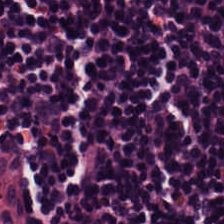Hematoxylin-and-eosin stained section · formalin-fixed paraffin-embedded section.
Predominantly lymphocytes.
